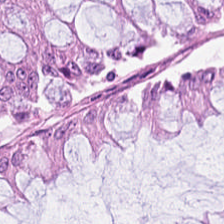0.5 microns per pixel · H&E · FFPE — This field is normal colonic mucosa.
